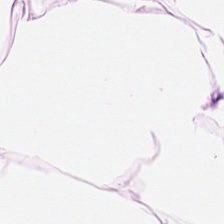Finding — adipose.
